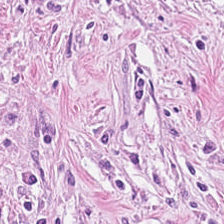H&E-stained tissue section. {"tissue_type": "desmoplastic stroma"}
